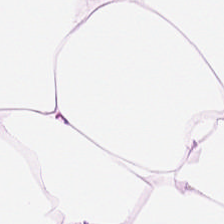H&E — adipose tissue.
